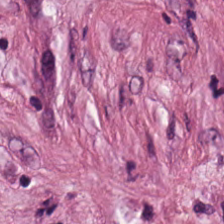H&E; 0.5 microns per pixel — This field is tumor-associated stroma.
